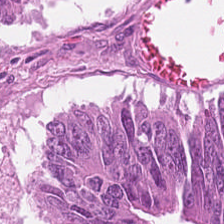Hematoxylin and eosin — This patch shows tumor epithelium.
